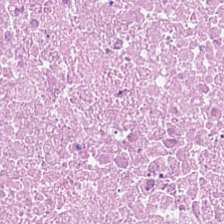Stain: H&E.
Preparation: FFPE.
Classification: cellular debris.
